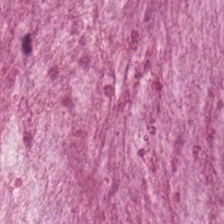H&E-stained tissue section. Whole-slide-image patch — The tissue is extracellular mucin.
